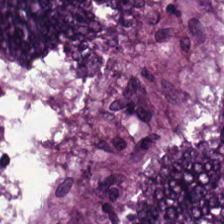Stain: hematoxylin-and-eosin stained section.
Tissue: malignant epithelium.
